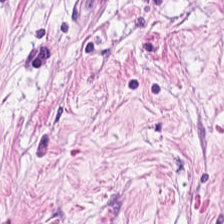0.5 µm per pixel; H&E — Q: Identify the tissue.
A: This is desmoplastic stroma.
